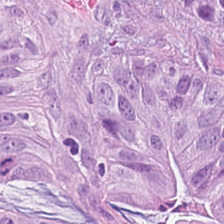The predominant tissue is malignant epithelium.
